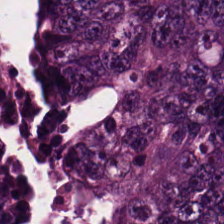Stain: H&E stain.
Predominant tissue: adenocarcinoma.
